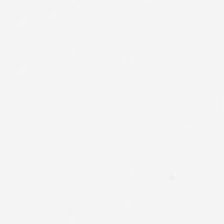Empty background.
